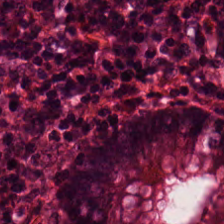H&E. WSI patch. FFPE.
The tissue here is normal colon mucosa.
